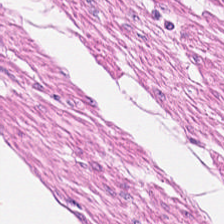Q: What tissue type is shown here?
A: This is smooth muscle.
